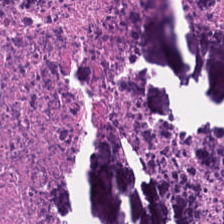Hematoxylin and eosin.
This field is cellular debris.
